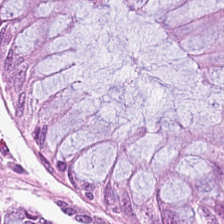224×224 px patch. Hematoxylin-and-eosin stained section — Q: What tissue type is shown here?
A: The field shows normal colon mucosa.
